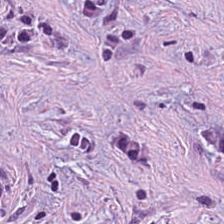H&E — tumor stroma.
